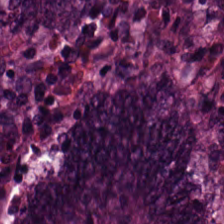Histology — malignant epithelium.
